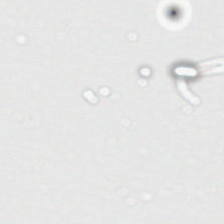Formalin-fixed paraffin-embedded section. Brightfield microscopy. Hematoxylin-and-eosin stained section. This patch shows background (no tissue).
